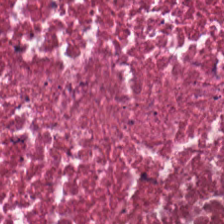H&E-stained tissue section.
Debris.
